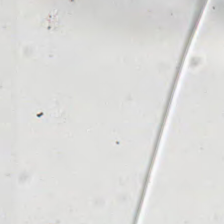20× equivalent magnification · hematoxylin-and-eosin stained section · brightfield microscopy. The content is background (no tissue).
